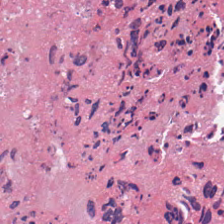H&E patch showing debris.
